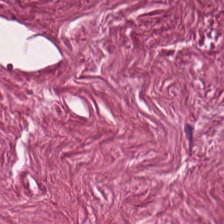H&E stain — Tissue: tumor stroma.
